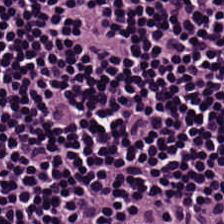Hematoxylin-and-eosin stained section. Showing lymphoid infiltrate.
